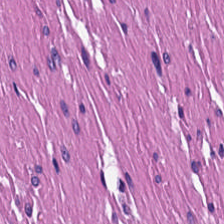Hematoxylin and eosin — Histology — muscularis.
